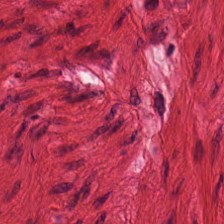224×224 pixel tile · H&E stain · brightfield microscopy — The predominant tissue is smooth muscle.
